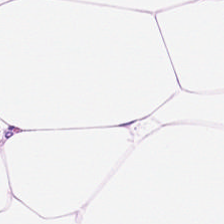The classification is fat tissue.
